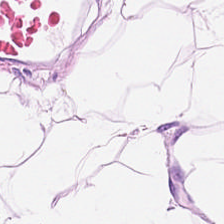WSI patch; hematoxylin and eosin; 224×224 px tile.
Classification = adipose tissue.
